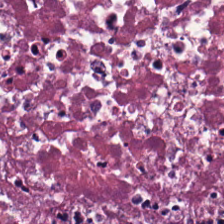H&E. This patch shows cellular debris.
